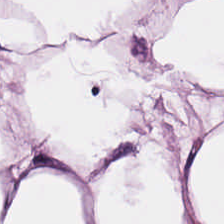Brightfield microscopy. H&E. 224×224 px tile.
{"tissue_type": "fat tissue"}
